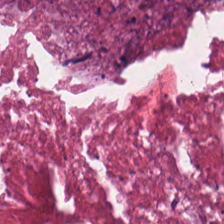H&E. 0.5 µm/px. The predominant tissue is necrotic debris.
